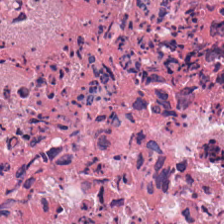Finding → debris.
